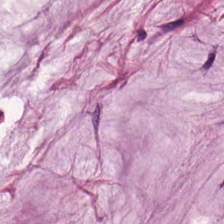Stain: H&E stain.
Tissue type: mucin.
